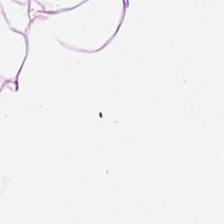H&E. This field is fat tissue.
